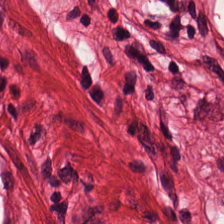H&E stain — Tissue type: muscularis.
